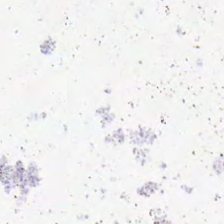Formalin-fixed paraffin-embedded section; H&E-stained tissue section; 0.5 microns per pixel — Background — no tissue in this field.
